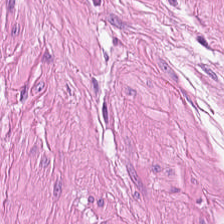H&E-stained tissue section — Tissue = smooth-muscle tissue.
